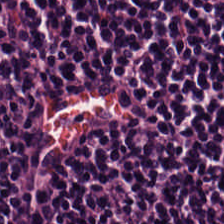0.5 µm/px; hematoxylin-and-eosin stained section; formalin-fixed paraffin-embedded section — Finding — lymphocyte aggregate.
